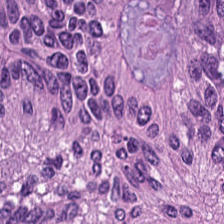Hematoxylin and eosin.
Predominantly adenocarcinoma.
